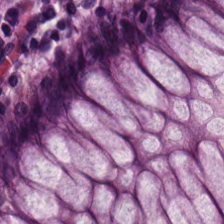Stain: hematoxylin and eosin.
Acquisition: whole-slide-image patch.
Tissue class: normal colonic mucosa.
